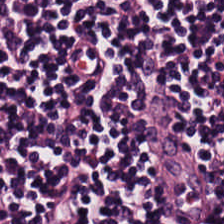224×224 px patch · H&E stain. Tissue — lymphocytes.
